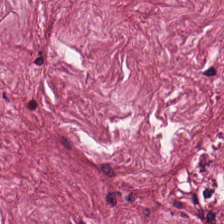Hematoxylin and eosin — The tissue here is tumor stroma.
